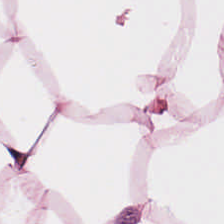Stain: H&E.
Acquisition: brightfield.
Tissue type: fat tissue.
